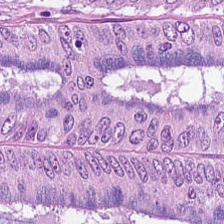0.5 µm per pixel. H&E stain — Impression → malignant epithelium.
